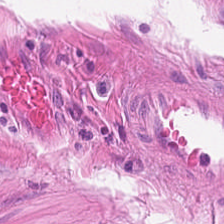224×224 px tile; H&E stain. This field is smooth-muscle tissue.
